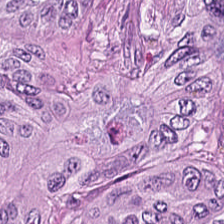H&E patch showing tumor epithelium.
